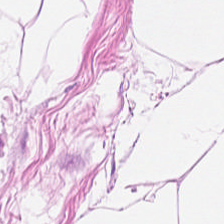Stain: H&E.
Acquisition: whole-slide-image patch.
Preparation: FFPE tissue section.
Tissue class: adipose.
